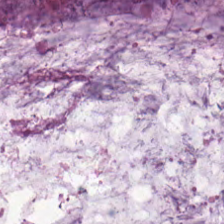Stain: hematoxylin and eosin.
Classification: mucin.
